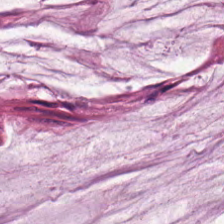Stain: hematoxylin and eosin.
Predominant tissue: extracellular mucin.
